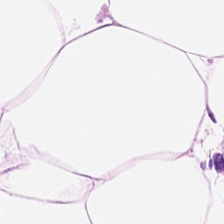Stain: H&E-stained tissue section.
Acquisition: brightfield microscopy.
Classification: adipocytes.
